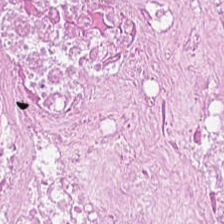Q: What tissue is shown?
A: This is necrotic debris.
